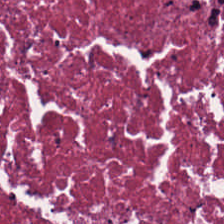H&E stain · 224×224 px tile.
Tissue class = necrotic debris.
